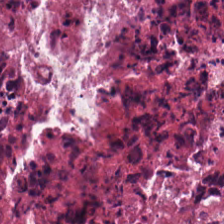Stain: H&E stain.
Resolution: 0.5 microns per pixel.
Preparation: FFPE.
Classification: debris.
